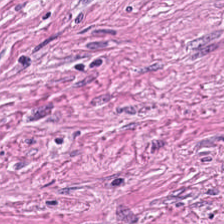H&E patch showing cancer-associated stroma.
